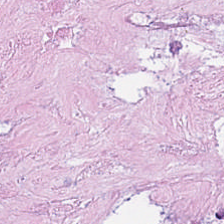H&E stain.
Finding — debris.
